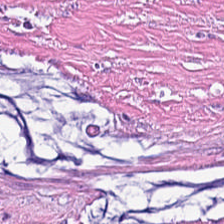Hematoxylin and eosin. Brightfield.
Tissue class = desmoplastic stroma.
